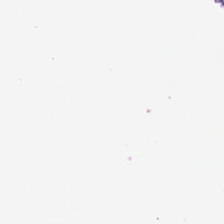H&E stain. Background (no tissue).
